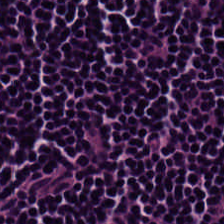H&E stain; whole-slide-image patch; 224×224 px tile. The tissue here is lymphocyte aggregate.
